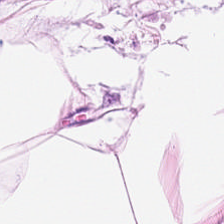H&E — Predominantly adipose.
